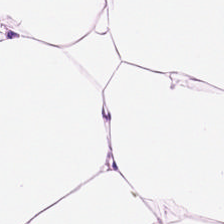Hematoxylin-and-eosin stained section. 224×224 px tile — Showing fat tissue.
